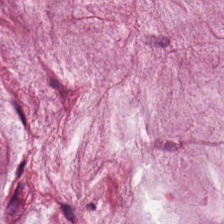Predominant tissue: mucus.
